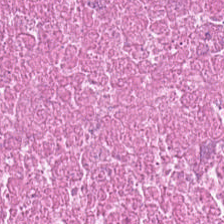Stain: hematoxylin and eosin.
Classification: necrotic debris.
